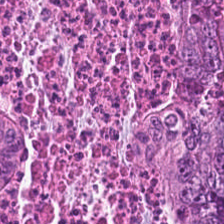Hematoxylin-and-eosin stained section.
The tissue is adenocarcinoma.
